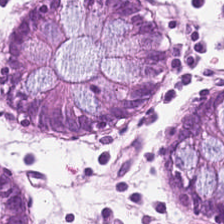Hematoxylin-and-eosin stained section. Non-neoplastic colon mucosa.
